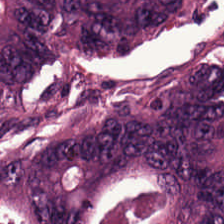Stain: H&E.
Resolution: 0.5 µm/px.
Tile size: 224×224 px patch.
Tissue type: tumor epithelium.
